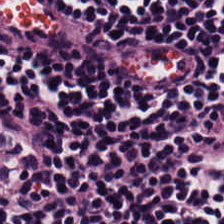Stain: hematoxylin and eosin.
Tissue type: lymphocytes.
